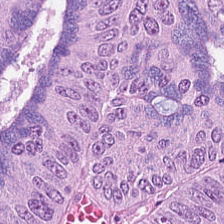Formalin-fixed paraffin-embedded section; H&E-stained tissue section.
Colorectal adenocarcinoma epithelium.
